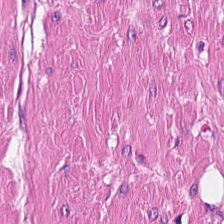Tissue class — smooth-muscle tissue.
